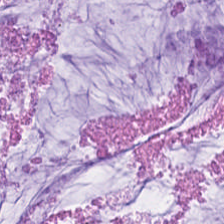FFPE tissue section. 224×224 px tile. H&E stain.
Showing mucin.
